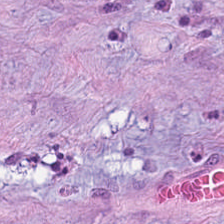224×224 px patch. H&E — {"tissue_type": "desmoplastic stroma"}
